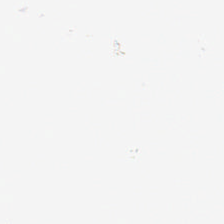H&E stain. Q: What is shown here?
A: This is empty background.
